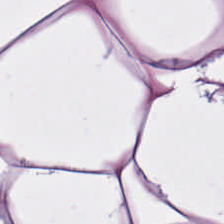FFPE. 0.5 µm per pixel. H&E-stained tissue section. The tissue is fat tissue.
